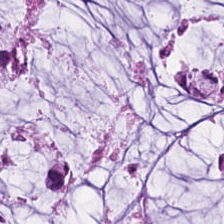Hematoxylin-and-eosin stained section. Brightfield — Predominant tissue — mucin.
